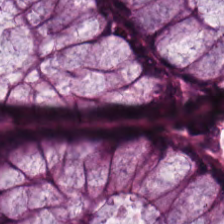Hematoxylin and eosin.
Showing normal colon mucosa.
